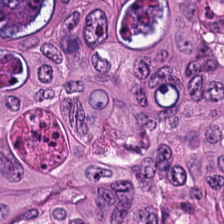H&E-stained section; the field shows adenocarcinoma.
